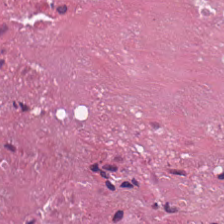H&E · WSI patch — Classification — debris.
